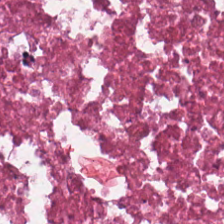Impression — cellular debris.
